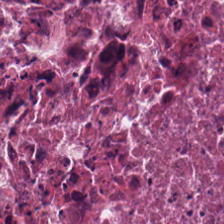FFPE tissue section. H&E stain. Predominantly cellular debris.
